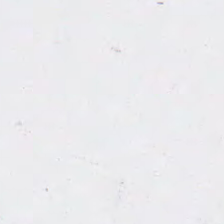Stain: H&E-stained tissue section.
Field content: background.
